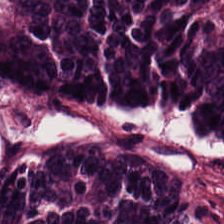Q: What type of tissue is this?
A: This is colorectal adenocarcinoma epithelium.
